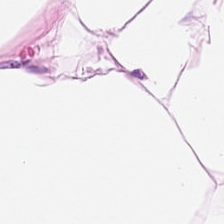H&E. {"tissue_type": "adipose tissue"}
